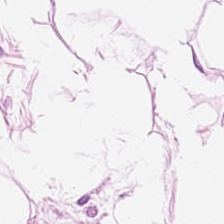WSI patch · H&E.
This field is adipocytes.
